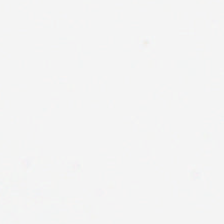H&E stain; brightfield. Q: What does this patch show?
A: It is background (no tissue).
